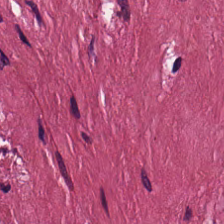Stain: H&E stain.
Predominant tissue: desmoplastic stroma.
